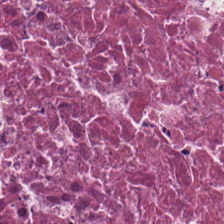FFPE · 20× equivalent magnification · hematoxylin-and-eosin stained section.
This field is debris.
